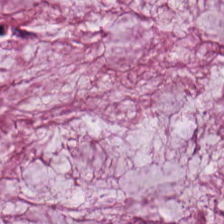Hematoxylin and eosin; formalin-fixed paraffin-embedded section. Extracellular mucin.
